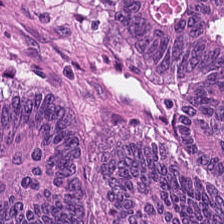Stain: hematoxylin and eosin.
Tissue: malignant epithelium.
